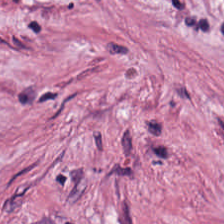0.5 microns per pixel · H&E stain — Tissue = cancer-associated stroma.
